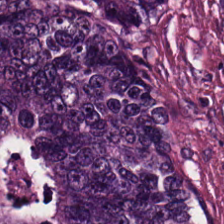{"tissue_type": "adenocarcinoma"}
